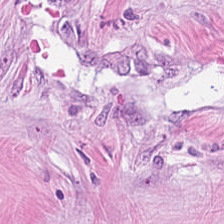Impression → desmoplastic stroma.
